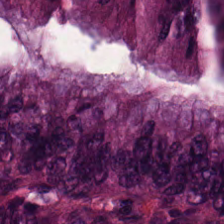This field is colorectal adenocarcinoma epithelium.
